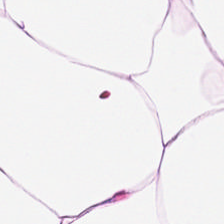Hematoxylin and eosin. Classification — adipose.
